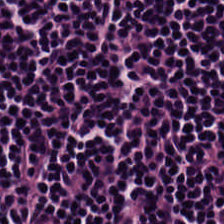H&E. Predominant tissue: lymphocytes.
